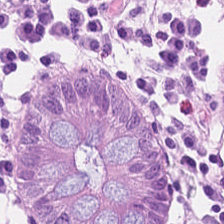H&E — Finding → benign colonic mucosa.
